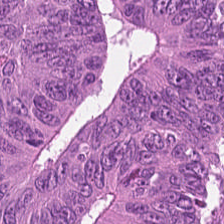Hematoxylin and eosin — Tissue type — colorectal adenocarcinoma epithelium.
